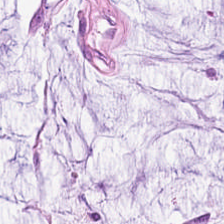H&E-stained tissue section · FFPE tissue section · 224×224 pixel tile — Classification: extracellular mucin.
